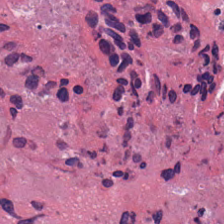Hematoxylin-and-eosin stained section.
Tissue = debris.
